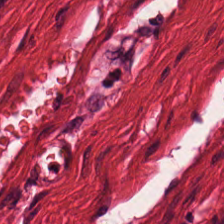WSI patch; H&E-stained tissue section. {"tissue_type": "muscularis"}
